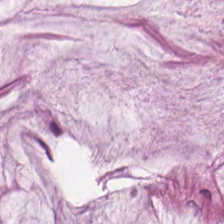H&E stain. Mucin.
